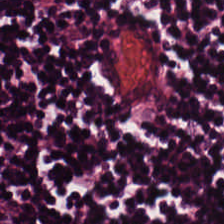H&E stain — Classification — lymphoid infiltrate.
